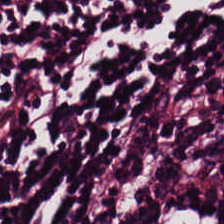Tissue — lymphocyte aggregate.
